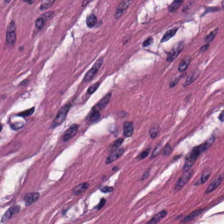H&E — smooth-muscle tissue.
